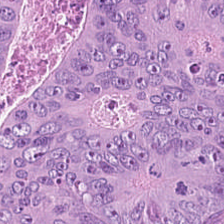H&E-stained tissue section. WSI patch. 20× equivalent magnification. Q: What is shown in this field?
A: This is malignant epithelium.
